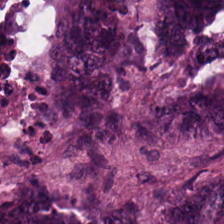0.5 µm/px; H&E.
The tissue is colorectal adenocarcinoma.
